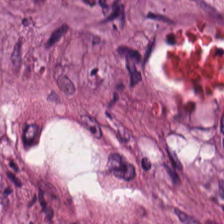Tissue type: necrotic debris.
